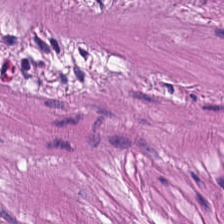H&E-stained tissue section. Showing smooth-muscle tissue.
